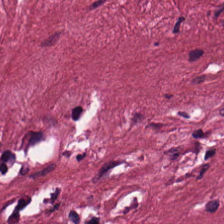Impression — cancer-associated stroma.
